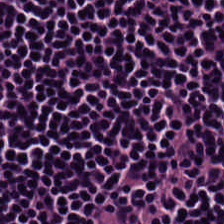Stain: hematoxylin-and-eosin stained section.
Classification: lymphocytic infiltrate.
